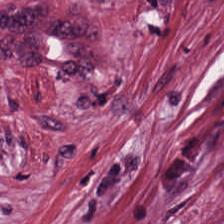Stain: H&E.
Tissue class: tumor-associated stroma.
